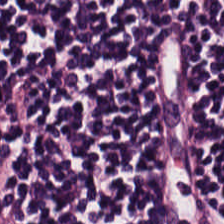Histology → lymphocytic infiltrate.
